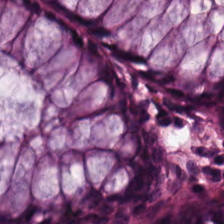Hematoxylin and eosin. Predominant tissue = normal colon mucosa.
